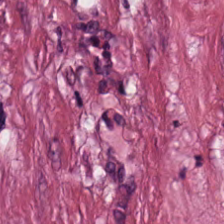H&E stain. FFPE. 0.5 µm/px — Tissue: desmoplastic stroma.
